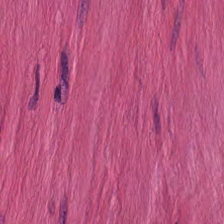H&E stain; 224×224 pixel tile. Showing smooth-muscle tissue.
